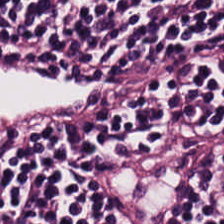H&E-stained tissue section.
Impression — lymphocytes.
